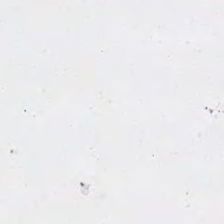Finding → no tissue.
